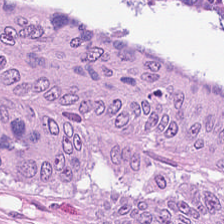H&E-stained tissue section — Q: What does this patch show?
A: It is colorectal adenocarcinoma.
